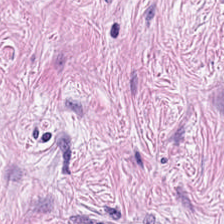Hematoxylin and eosin; brightfield microscopy — Q: What does this patch show?
A: Cancer-associated stroma.
